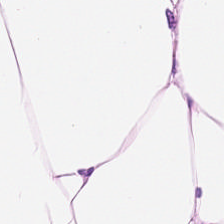Hematoxylin and eosin.
Finding → adipose.
